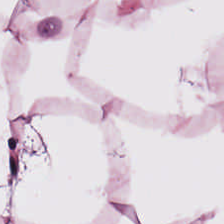{"tissue_type": "adipose"}
